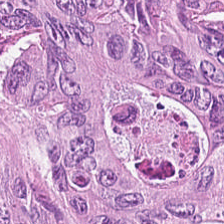The tissue is adenocarcinoma.
